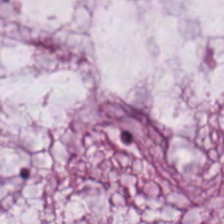Hematoxylin and eosin. Predominantly extracellular mucin.
